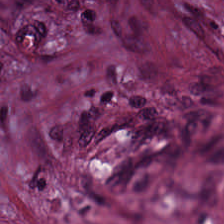Hematoxylin and eosin. Tumor-associated stroma.
